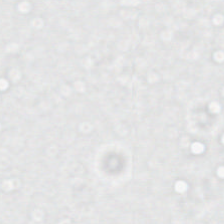Stain: H&E-stained tissue section.
Classification: background.
